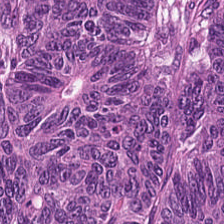Tissue type = tumor epithelium.
